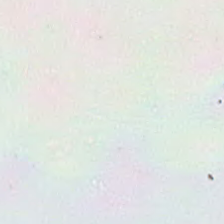H&E. The content is background (no tissue).
